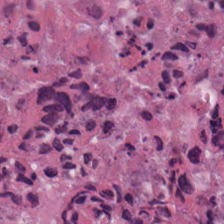H&E-stained tissue section. Predominant tissue: necrotic debris.
